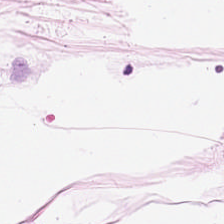H&E stain. This field is adipose tissue.
